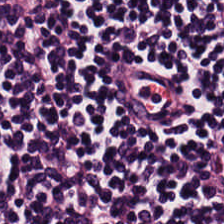H&E. The tissue is lymphocytic infiltrate.
